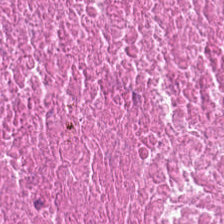H&E-stained tissue section. Impression — cellular debris.
